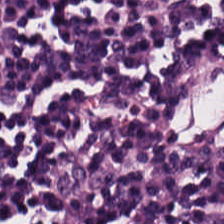The tissue here is lymphocytes.
